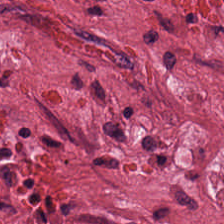Predominant tissue: desmoplastic stroma.
